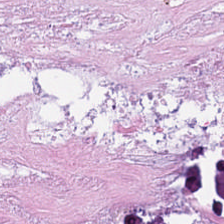20× equivalent magnification · 224×224 px patch · H&E-stained tissue section.
This field is debris.
